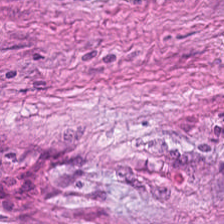Histology → desmoplastic stroma.
